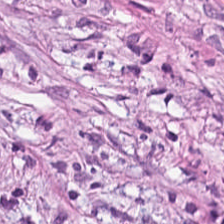H&E.
Tissue class — tumor stroma.
